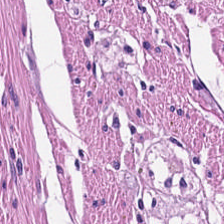Stain: hematoxylin and eosin.
Tissue type: muscularis.
